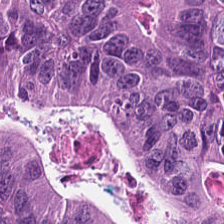Hematoxylin and eosin. 0.5 µm per pixel. Q: What is the predominant tissue type?
A: Colorectal adenocarcinoma.
